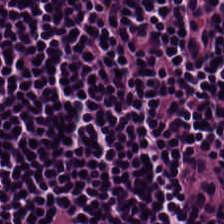H&E — lymphocytic infiltrate.
